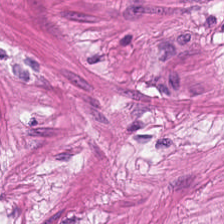Hematoxylin-and-eosin stained section; 224×224 px patch.
Impression → smooth muscle.
